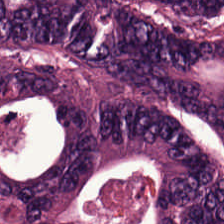Malignant epithelium.
